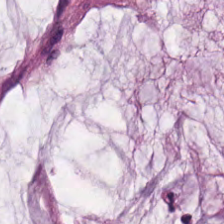Hematoxylin and eosin. 20× equivalent magnification.
{"tissue_type": "extracellular mucin"}
